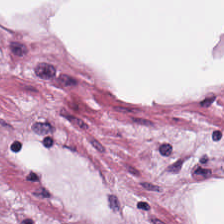Stain: H&E-stained tissue section.
Preparation: FFPE tissue section.
Tissue type: adipose tissue.
